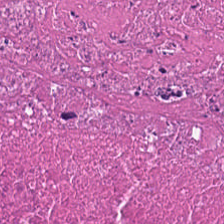Hematoxylin-and-eosin stained section.
Necrotic debris.
